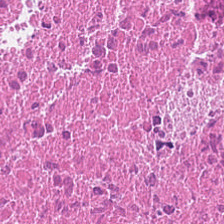Hematoxylin and eosin · 0.5 microns per pixel. The predominant tissue is cellular debris.
